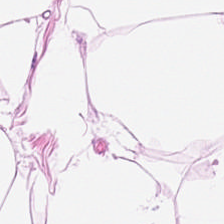H&E stain — Showing fat tissue.
